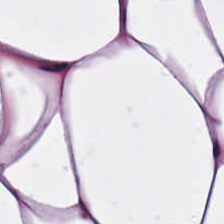Classification = adipose.
